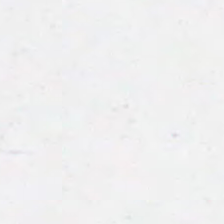WSI patch. Hematoxylin-and-eosin stained section — Q: What does this patch show?
A: The field shows empty background.
